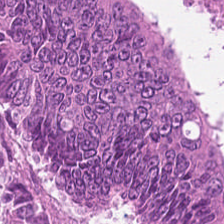Hematoxylin-and-eosin stained section.
Q: What is the predominant tissue type?
A: It is adenocarcinoma.
